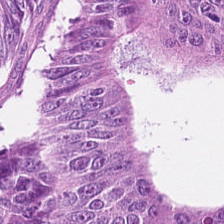Q: What is shown in this field?
A: Colorectal adenocarcinoma epithelium.
